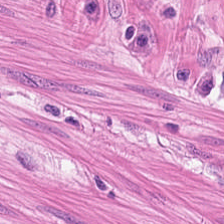Brightfield · hematoxylin-and-eosin stained section. Tissue class = smooth-muscle tissue.
